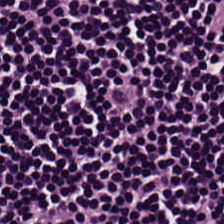The tissue class is lymphocytic infiltrate.
